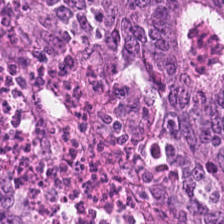Hematoxylin and eosin — Predominantly malignant epithelium.
